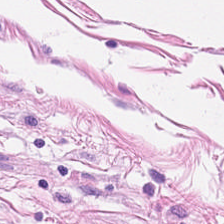Impression → smooth muscle.
